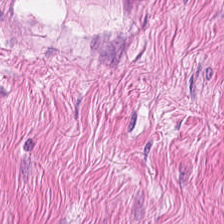Hematoxylin-and-eosin stained section.
Q: What type of tissue is this?
A: It is smooth muscle.
